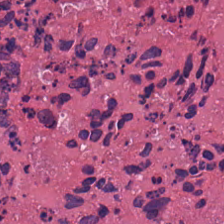FFPE tissue section; WSI patch; H&E stain — {"tissue_type": "necrotic debris"}
